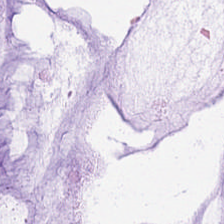H&E-stained tissue section. The tissue here is mucin.
